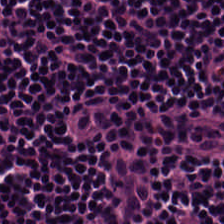H&E stain; 0.5 microns per pixel.
Predominant tissue: lymphocytes.
